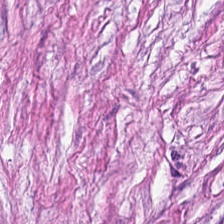H&E.
Finding → desmoplastic stroma.
